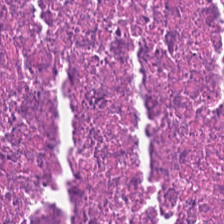Q: Identify the tissue.
A: It is cellular debris.
